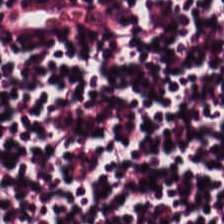224×224 pixel tile. Hematoxylin-and-eosin stained section. Brightfield. Classification: lymphocytic infiltrate.
